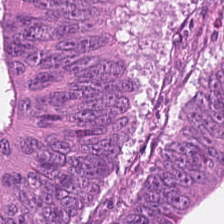Hematoxylin and eosin. 0.5 µm/px. 224×224 pixel tile. Showing colorectal adenocarcinoma epithelium.
